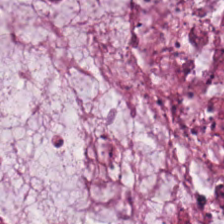Hematoxylin and eosin — Q: What does this patch show?
A: The field shows mucus.
